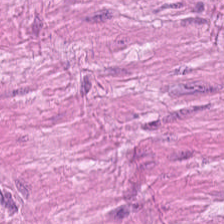H&E stain. Tissue: smooth muscle.
